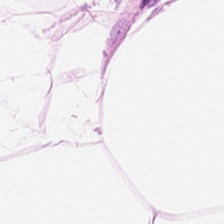Hematoxylin and eosin; FFPE; WSI patch.
This patch shows fat tissue.
